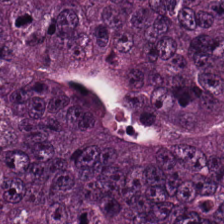H&E-stained tissue section. Q: What tissue type is shown here?
A: This is malignant epithelium.
